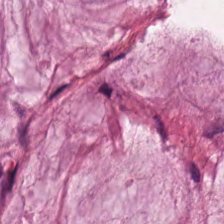Hematoxylin-and-eosin stained section. Tissue type = mucin.
